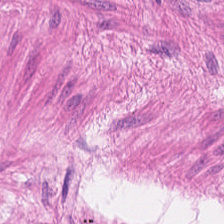Hematoxylin and eosin.
Predominant tissue = muscularis.
